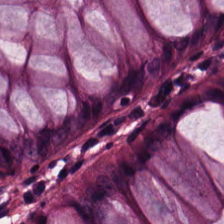FFPE. H&E. This patch shows non-neoplastic colon mucosa.
